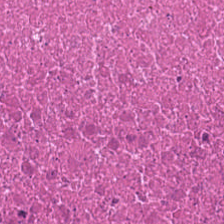Brightfield microscopy · H&E-stained tissue section · 20× equivalent magnification — This field is debris.
